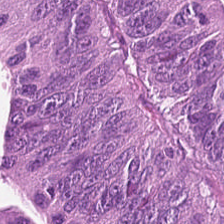Q: What is shown in this field?
A: It is malignant epithelium.
